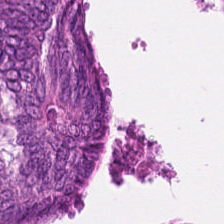Q: What is shown here?
A: The field shows tumor epithelium.
